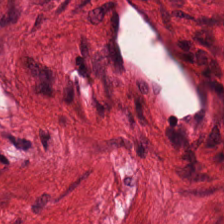WSI patch · H&E · 224×224 pixel tile. Tissue class: smooth muscle.
